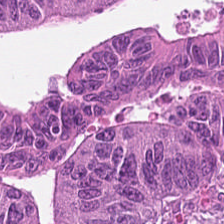H&E. 0.5 µm per pixel. Whole-slide-image patch. Predominantly colorectal adenocarcinoma.
